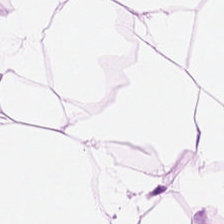H&E stain · FFPE · 0.5 µm/px — The predominant tissue is adipose tissue.
